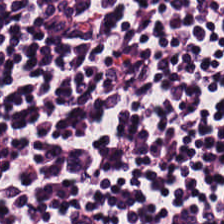Hematoxylin and eosin. FFPE tissue section — Lymphoid infiltrate.
